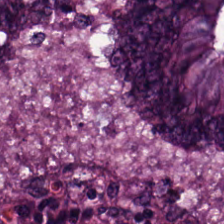Q: Identify the tissue.
A: It is tumor epithelium.
